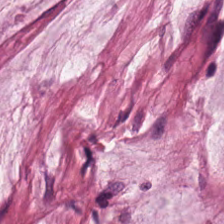H&E; 0.5 microns per pixel.
Histology — mucin.
